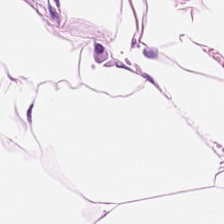Stain: H&E-stained tissue section.
Tissue type: fat tissue.
